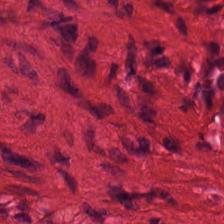Brightfield; H&E. This field is smooth muscle.
